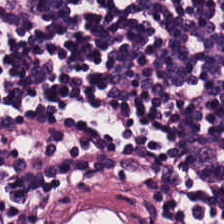Hematoxylin-and-eosin stained section.
Tissue type — lymphoid infiltrate.
